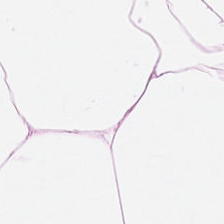H&E stain — Showing adipose tissue.
